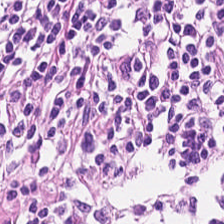Stain: hematoxylin-and-eosin stained section.
Tissue class: lymphocytic infiltrate.
